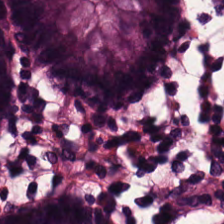WSI patch. H&E stain. 0.5 microns per pixel.
Predominant tissue = benign colonic mucosa.
